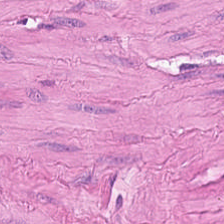Formalin-fixed paraffin-embedded section; 20× equivalent magnification; hematoxylin-and-eosin stained section. The tissue is smooth-muscle tissue.
